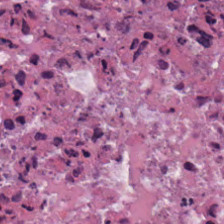This patch shows cellular debris.
